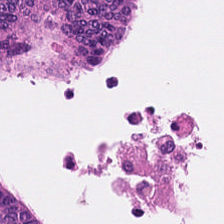Hematoxylin and eosin; FFPE. The tissue is colorectal adenocarcinoma.
